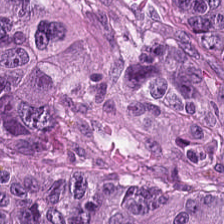FFPE tissue section · H&E — The classification is tumor epithelium.
